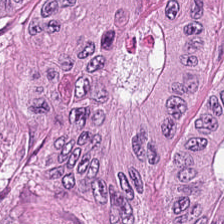H&E stain — The predominant tissue is colorectal adenocarcinoma epithelium.
